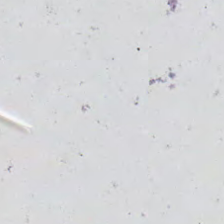FFPE; H&E-stained tissue section.
Background (no tissue).
